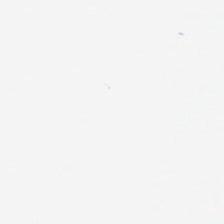H&E-stained tissue section.
Impression → background.
